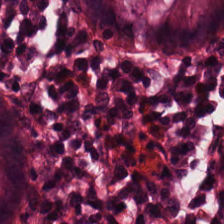Stain: H&E.
Tissue class: benign colonic mucosa.
